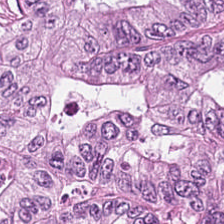The tissue here is malignant epithelium.
